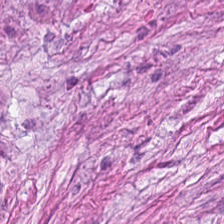Formalin-fixed paraffin-embedded section · H&E. The tissue here is tumor-associated stroma.
